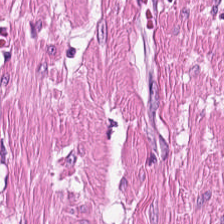Tissue type: smooth-muscle tissue.
